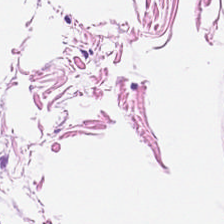H&E stain — Finding → adipose tissue.
